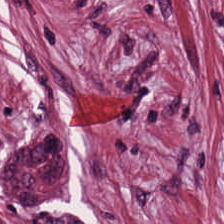H&E-stained tissue section showing tumor stroma.
